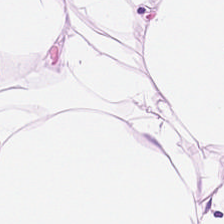Stain: H&E stain.
Classification: adipocytes.
